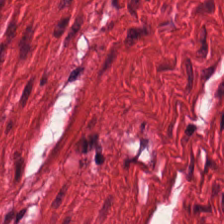0.5 µm per pixel · WSI patch · H&E.
Predominantly smooth muscle.
